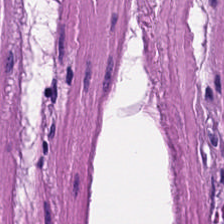Hematoxylin-and-eosin stained section.
Tissue class — smooth-muscle tissue.
